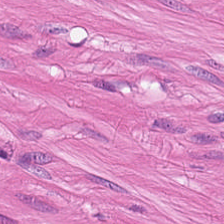H&E.
This patch shows muscularis.
